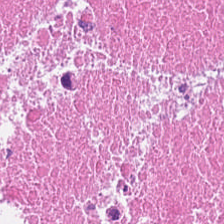H&E.
Necrotic debris.
